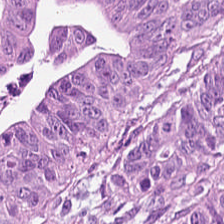H&E stain. Tissue class = adenocarcinoma.
